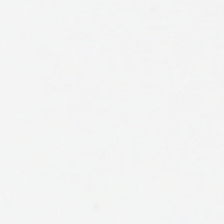20× equivalent magnification · H&E-stained tissue section · 224×224 pixel tile — Histology → no tissue.
